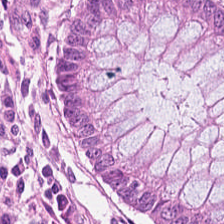Q: Identify the tissue.
A: Normal colonic mucosa.
